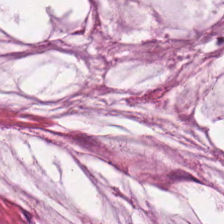H&E stain · formalin-fixed paraffin-embedded section. Q: What is shown in this field?
A: It is mucus.
